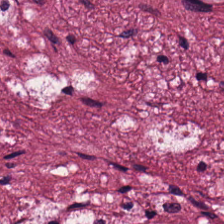H&E-stained tissue section showing tumor-associated stroma.
